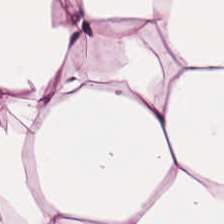Hematoxylin and eosin; formalin-fixed paraffin-embedded section — Q: What does this patch show?
A: It is adipose.
